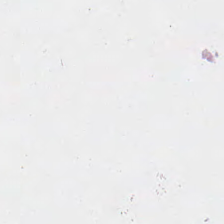No tissue present; background only.
